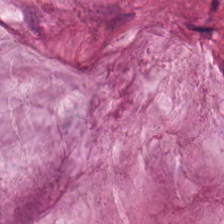The tissue class is mucin.
